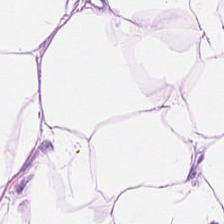H&E stain. Q: What tissue is shown?
A: It is fat tissue.
